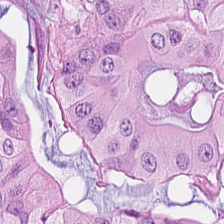0.5 µm/px. Hematoxylin-and-eosin stained section.
{"tissue_type": "colorectal adenocarcinoma epithelium"}
